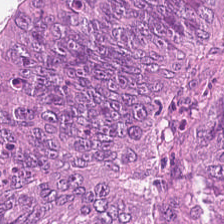H&E patch showing tumor epithelium.
